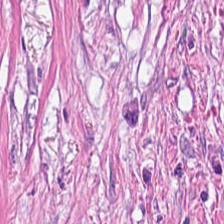Hematoxylin and eosin — Predominant tissue: tumor-associated stroma.
